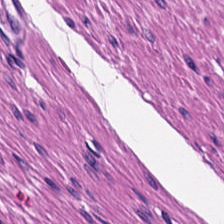Stain: H&E.
Preparation: FFPE tissue section.
Classification: smooth muscle.
